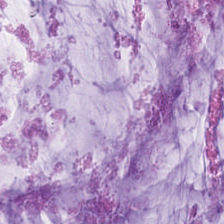Q: What is shown here?
A: It is mucus.
